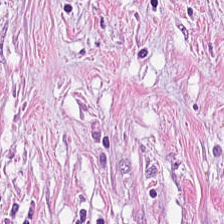Hematoxylin and eosin.
Predominant tissue: tumor-associated stroma.
